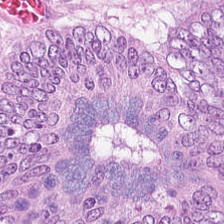Hematoxylin-and-eosin stained section. This field is tumor epithelium.
